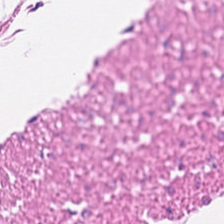The tissue type is smooth muscle.
